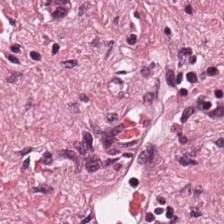H&E · 224×224 px patch.
Tissue = desmoplastic stroma.
